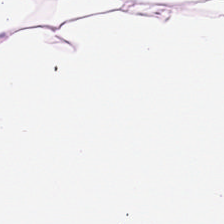Q: What is shown in this field?
A: This is adipose.
